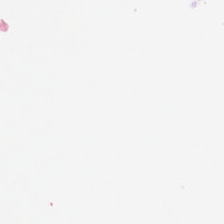H&E stain — Background — no tissue in this field.
